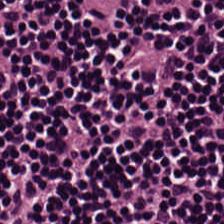H&E — The predominant tissue is lymphocytes.
